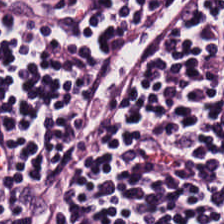H&E stain.
This field is lymphocytic infiltrate.
